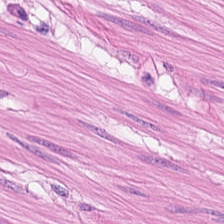H&E stain — Histology → smooth muscle.
